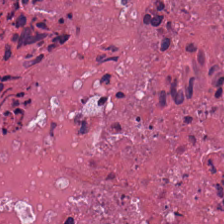Necrotic debris.
